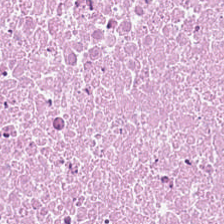This field is cellular debris.
